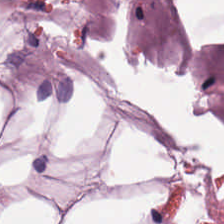H&E-stained tissue section — The predominant tissue is adipocytes.
